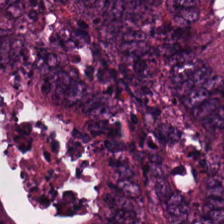0.5 µm per pixel. H&E stain. Tissue class = colorectal adenocarcinoma.
